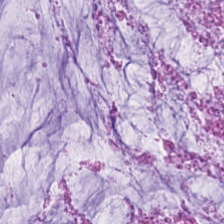Finding — mucin.
